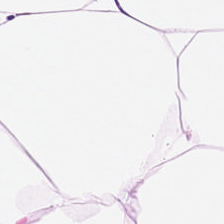H&E.
Q: What tissue type is shown here?
A: It is adipose.
